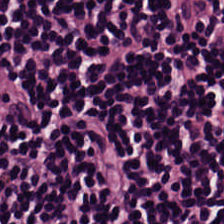H&E stain — Q: What is the predominant tissue type?
A: Lymphocyte aggregate.
